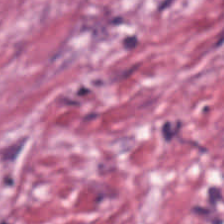H&E-stained tissue section — Q: What tissue is shown?
A: The field shows tumor-associated stroma.
